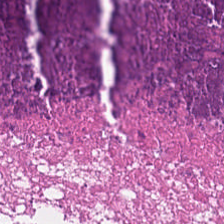224×224 pixel tile. Brightfield microscopy. Hematoxylin and eosin — Q: Classify this patch.
A: Necrotic debris.
